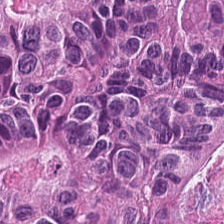FFPE. H&E.
The classification is adenocarcinoma.
